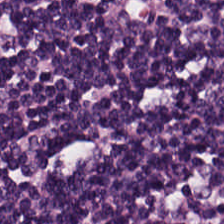Stain: H&E.
Tissue: lymphocyte aggregate.
